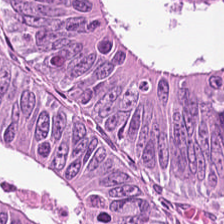Hematoxylin-and-eosin stained section. FFPE. 0.5 µm per pixel.
The predominant tissue is malignant epithelium.
